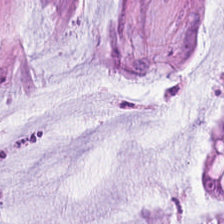FFPE. H&E. The tissue type is extracellular mucin.
